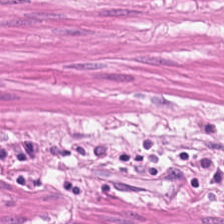Formalin-fixed paraffin-embedded section · hematoxylin-and-eosin stained section.
Finding — smooth muscle.
